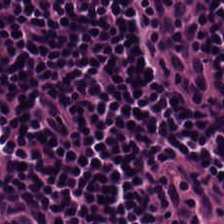Hematoxylin and eosin. Lymphocytic infiltrate.
